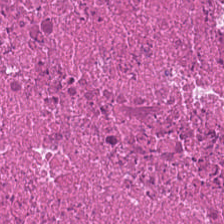Stain: H&E stain.
Resolution: 20× equivalent magnification.
Tissue type: necrotic debris.
